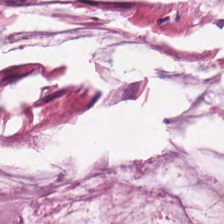H&E.
Q: Identify the tissue.
A: This is extracellular mucin.
